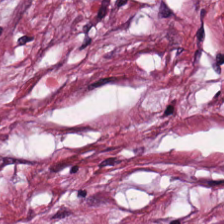Whole-slide-image patch; 224×224 px patch; H&E — Showing tumor stroma.
